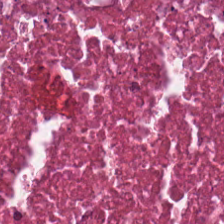Formalin-fixed paraffin-embedded section; H&E-stained tissue section; WSI patch. The classification is cellular debris.
